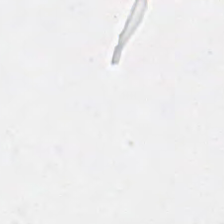Hematoxylin-and-eosin stained section. 20× equivalent magnification.
{"content": "no tissue"}
